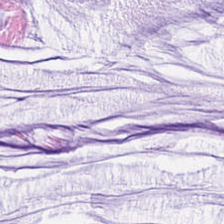H&E stain. 224×224 px tile. 0.5 µm per pixel. The predominant tissue is mucin.
